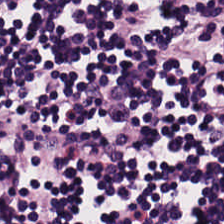H&E · 224×224 pixel tile · WSI patch — Lymphoid infiltrate.
